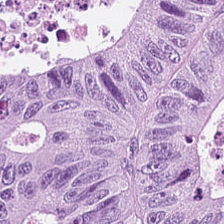Stain: H&E.
Predominant tissue: colorectal adenocarcinoma.
